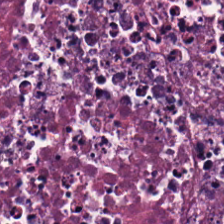Stain: hematoxylin-and-eosin stained section.
Acquisition: whole-slide-image patch.
Preparation: FFPE tissue section.
Classification: debris.
